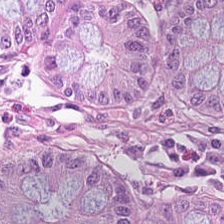Hematoxylin and eosin. Q: What is shown here?
A: It is non-neoplastic colon mucosa.
